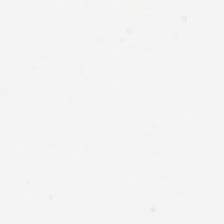H&E stain · formalin-fixed paraffin-embedded section. Q: What does this patch show?
A: This is background.
